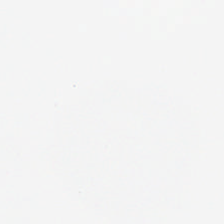H&E.
This field is background (no tissue).
